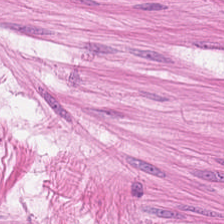{"tissue_type": "smooth-muscle tissue"}
